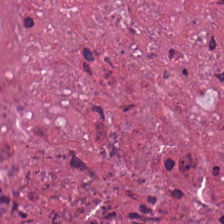Whole-slide-image patch. FFPE tissue section. Hematoxylin-and-eosin stained section. Tissue — debris.
